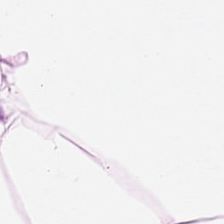Hematoxylin and eosin · formalin-fixed paraffin-embedded section. Predominant tissue = fat tissue.
